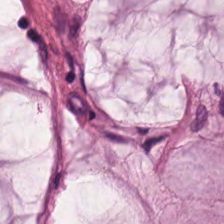Classification = mucin.
